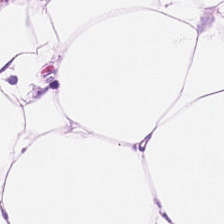Hematoxylin and eosin. 224×224 px tile. This field is adipose.
